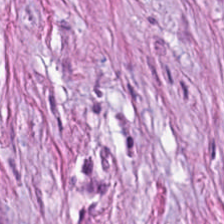The tissue type is desmoplastic stroma.
